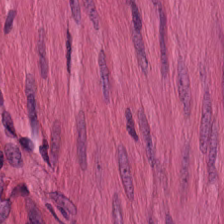Hematoxylin and eosin. 20× equivalent magnification. Q: What does this patch show?
A: The field shows muscularis.
